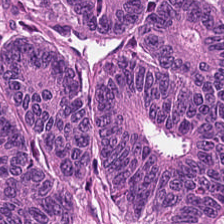Stain: H&E-stained tissue section.
Tile size: 224×224 pixel tile.
Tissue type: colorectal adenocarcinoma epithelium.
